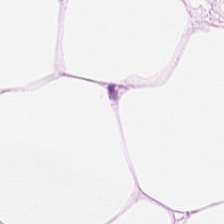Hematoxylin-and-eosin stained section — Tissue type: adipocytes.
